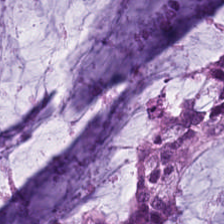Stain: hematoxylin and eosin.
Tissue type: extracellular mucin.
